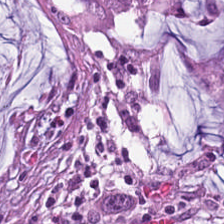Q: What is the predominant tissue type?
A: This is mucus.
